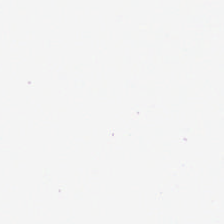This patch shows background (no tissue).
